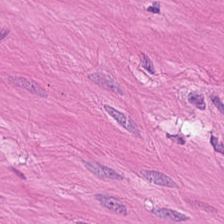Brightfield microscopy · H&E-stained tissue section. The tissue is muscularis.
